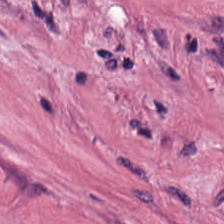This field is tumor stroma.
